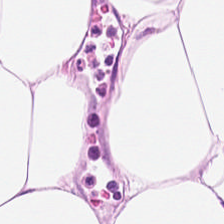H&E-stained tissue section · 0.5 µm/px · WSI patch.
Predominantly adipose.
